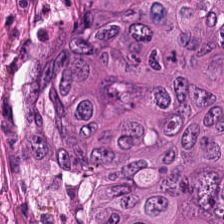Predominant tissue: malignant epithelium.
